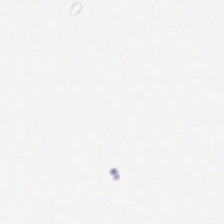0.5 µm/px. Hematoxylin and eosin — Classification = background.
